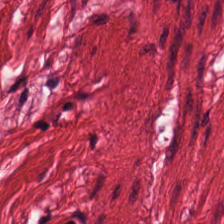0.5 µm per pixel; FFPE tissue section; hematoxylin-and-eosin stained section.
Predominantly muscularis.
